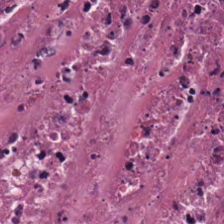H&E.
Q: What tissue is shown?
A: The field shows cellular debris.
